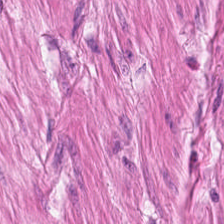FFPE. Hematoxylin-and-eosin stained section — {"tissue_type": "muscularis"}
